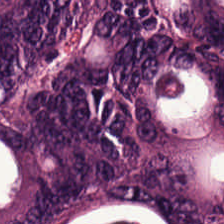224×224 pixel tile; H&E-stained tissue section; brightfield.
Tissue: colorectal adenocarcinoma.
